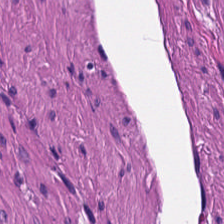Q: What is the predominant tissue type?
A: The field shows smooth-muscle tissue.
